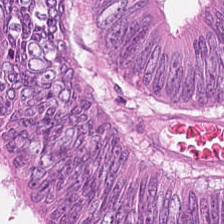H&E. FFPE. This patch shows colorectal adenocarcinoma epithelium.
